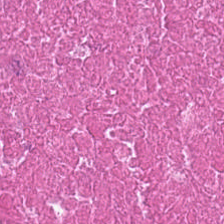Stain: H&E-stained tissue section.
Acquisition: WSI patch.
Tile size: 224×224 px patch.
Predominant tissue: debris.
